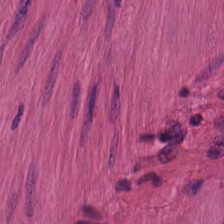20× equivalent magnification; H&E.
Q: What does this patch show?
A: Smooth muscle.
